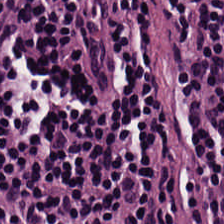224×224 pixel tile · formalin-fixed paraffin-embedded section · H&E. Histology → lymphocytic infiltrate.
